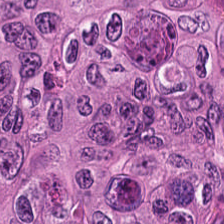Hematoxylin and eosin.
Classification: tumor epithelium.
